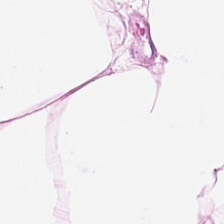The tissue class is fat tissue.
